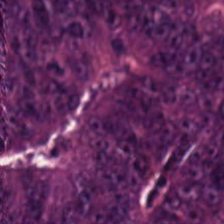H&E-stained tissue section.
Colorectal adenocarcinoma.
